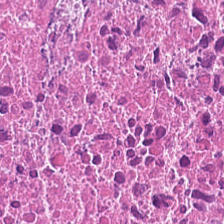H&E. Tissue class: debris.
